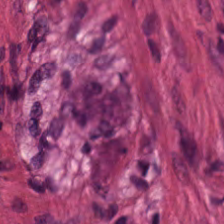224×224 px patch · FFPE · H&E-stained tissue section.
Predominantly smooth muscle.
